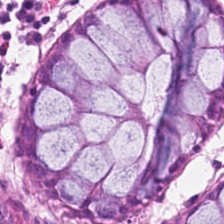H&E-stained tissue section — Showing normal colon mucosa.
